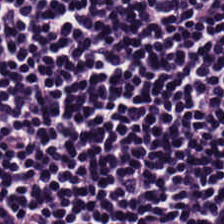Classification = lymphocytic infiltrate.
